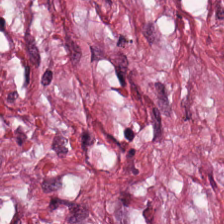Q: What type of tissue is this?
A: The field shows tumor-associated stroma.
